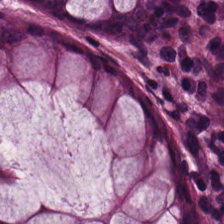Hematoxylin-and-eosin stained section — Q: What type of tissue is this?
A: Benign colonic mucosa.
